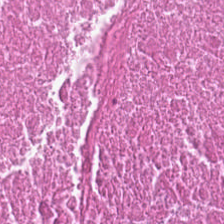Hematoxylin and eosin · 0.5 microns per pixel — This patch shows debris.
